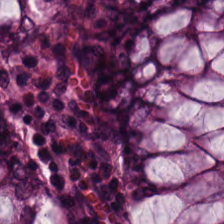0.5 µm/px · hematoxylin-and-eosin stained section. Q: What tissue is shown?
A: The field shows normal colon mucosa.
